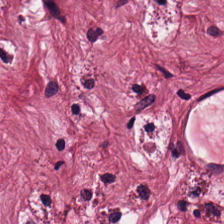Stain: hematoxylin-and-eosin stained section.
Acquisition: brightfield microscopy.
Resolution: 0.5 µm/px.
Tissue: cancer-associated stroma.
